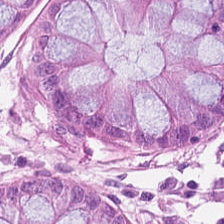Hematoxylin-and-eosin stained section — Predominantly non-neoplastic colon mucosa.
